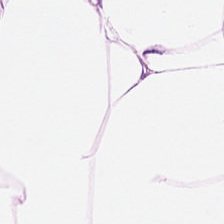Tissue type: fat tissue.
